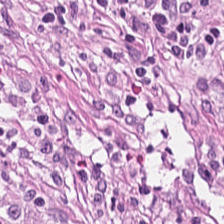Formalin-fixed paraffin-embedded section · H&E · brightfield microscopy — Tissue — tumor stroma.
